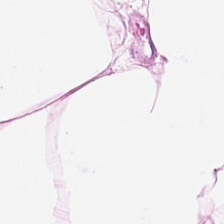Hematoxylin-and-eosin stained section.
Histology — adipose tissue.
